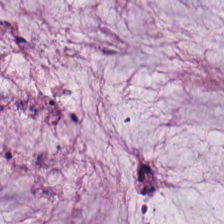Showing mucin.
